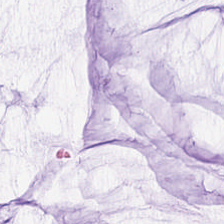The tissue here is mucin.
